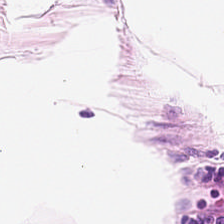Tissue class — fat tissue.
